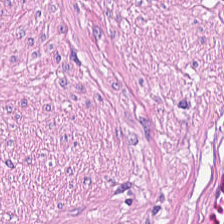H&E stain · 224×224 px patch.
Showing muscularis.
